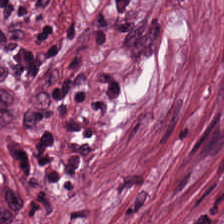Showing cancer-associated stroma.
